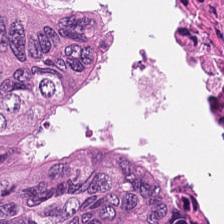Tissue type: debris.
